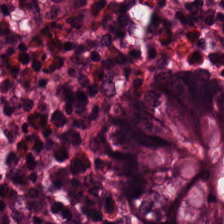Hematoxylin-and-eosin stained section · 20× equivalent magnification. Q: What is the predominant tissue type?
A: Benign colonic mucosa.
